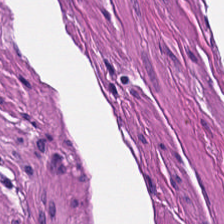Hematoxylin-and-eosin stained section; 224×224 px tile — Q: What tissue type is shown here?
A: It is smooth muscle.
